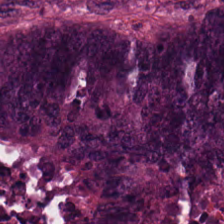H&E. Histology → malignant epithelium.
